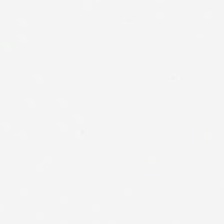H&E-stained tissue section. Background — no tissue in this field.
